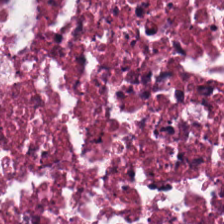Hematoxylin and eosin. Tissue type — necrotic debris.
